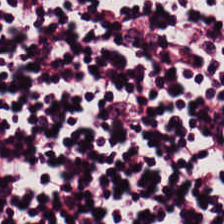H&E · formalin-fixed paraffin-embedded section · 0.5 µm/px. This field is lymphocyte aggregate.
